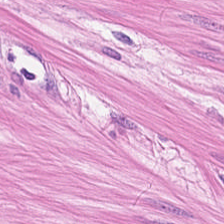Whole-slide-image patch · hematoxylin-and-eosin stained section.
Q: What tissue type is shown here?
A: This is smooth muscle.
